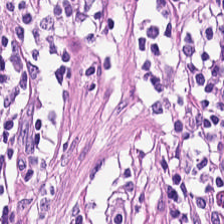Stain: H&E stain.
Tile size: 224×224 px tile.
Tissue type: lymphocytic infiltrate.
